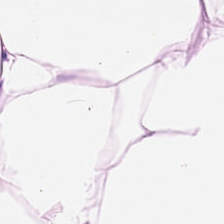WSI patch · hematoxylin and eosin.
Predominantly adipose tissue.
